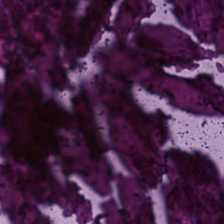The tissue class is debris.
